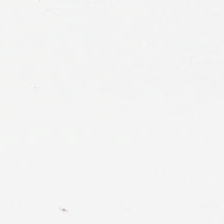H&E stain. This field is background (no tissue).
